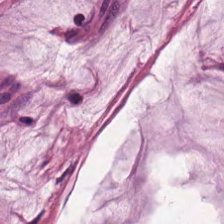The tissue class is mucin.
